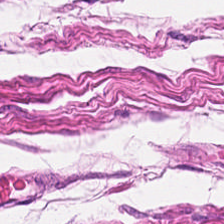H&E stain.
Q: Identify the tissue.
A: It is smooth-muscle tissue.
